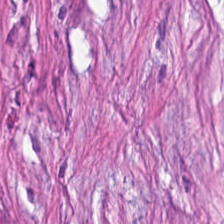Hematoxylin and eosin. {"tissue_type": "tumor-associated stroma"}
